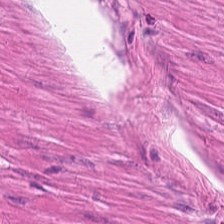Formalin-fixed paraffin-embedded section · hematoxylin-and-eosin stained section — Histology — smooth muscle.
